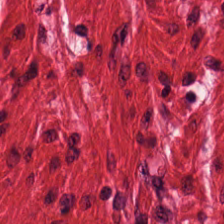Hematoxylin and eosin.
The tissue type is muscularis.
